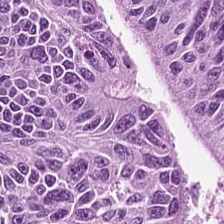This field is colorectal adenocarcinoma.
